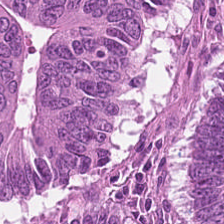H&E-stained tissue section. This patch shows malignant epithelium.
